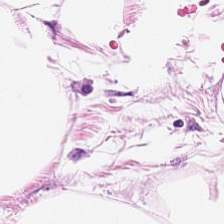Stain: H&E.
Preparation: formalin-fixed paraffin-embedded section.
Resolution: 0.5 µm/px.
Tissue: adipose tissue.
